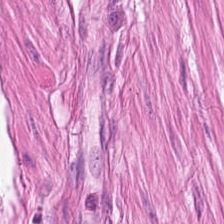H&E · 224×224 px tile. This patch shows smooth-muscle tissue.
